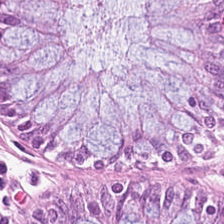224×224 px patch. Hematoxylin-and-eosin stained section.
Q: What is shown here?
A: Normal colon mucosa.
